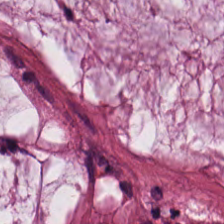Stain: H&E stain.
Tissue class: extracellular mucin.
